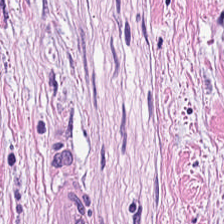H&E stain · FFPE tissue section — This field is desmoplastic stroma.
